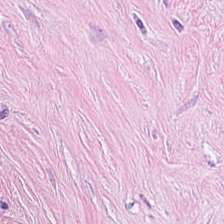Stain: H&E.
Tissue type: desmoplastic stroma.
